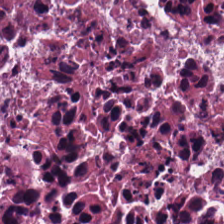Hematoxylin and eosin — Q: Identify the tissue.
A: This is cellular debris.
